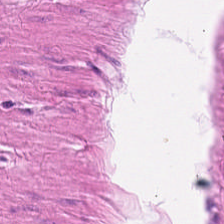Hematoxylin and eosin.
Tissue class = smooth muscle.
